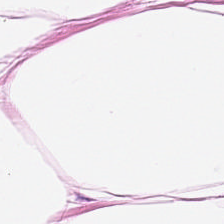Tissue class = adipose tissue.
